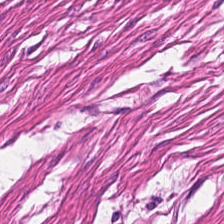Stain: hematoxylin and eosin.
Tissue type: smooth-muscle tissue.
